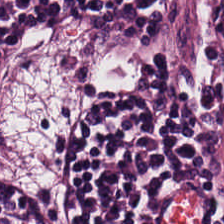Stain: hematoxylin and eosin.
Tissue class: lymphoid infiltrate.
